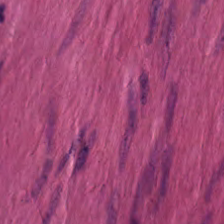WSI patch. H&E — This field is smooth-muscle tissue.
